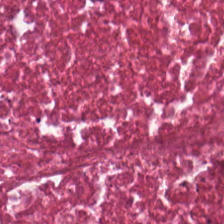FFPE tissue section · H&E-stained tissue section.
Q: What does this patch show?
A: Necrotic debris.
